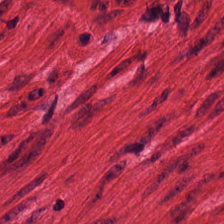224×224 pixel tile; hematoxylin-and-eosin stained section.
The tissue here is smooth muscle.
